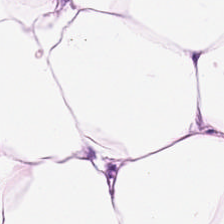H&E stain. Formalin-fixed paraffin-embedded section. 0.5 µm/px — Classification: fat tissue.
